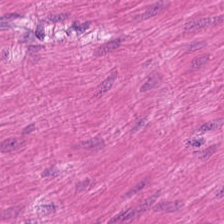FFPE tissue section · hematoxylin-and-eosin stained section.
Impression → smooth-muscle tissue.
